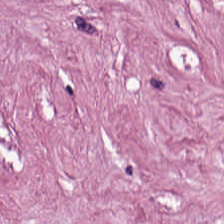WSI patch; 0.5 µm per pixel; hematoxylin and eosin — Desmoplastic stroma.
